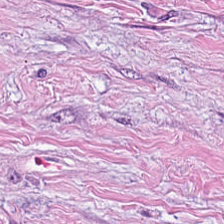Stain: H&E stain.
Tissue type: desmoplastic stroma.
